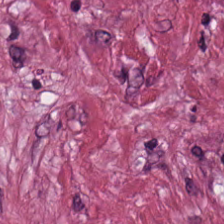Predominant tissue: cancer-associated stroma.
